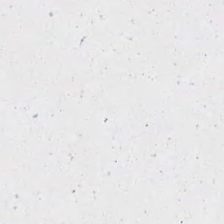Hematoxylin and eosin — This field is background (no tissue).
